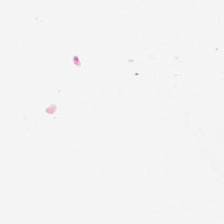H&E-stained tissue section.
Content = no tissue.
